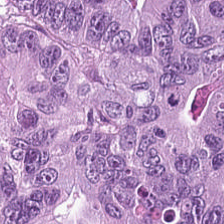H&E stain — The tissue type is malignant epithelium.
